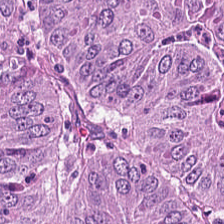H&E-stained section; the field shows colorectal adenocarcinoma epithelium.
